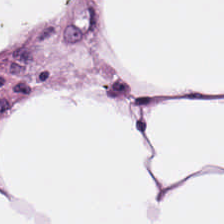Hematoxylin-and-eosin stained section.
Histology → adipose tissue.
